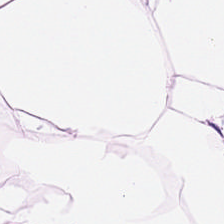Stain: hematoxylin-and-eosin stained section.
Tissue: fat tissue.
